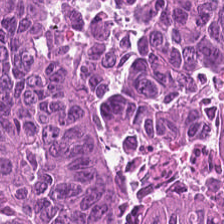H&E-stained section; the field shows malignant epithelium.
